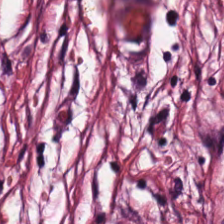This patch shows cancer-associated stroma.
